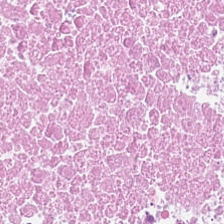Classification: cellular debris.
